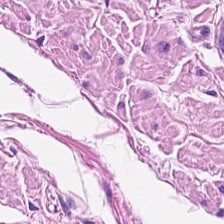H&E-stained tissue section. Tissue type: muscularis.
